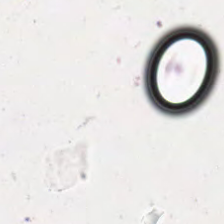Brightfield · hematoxylin-and-eosin stained section.
The classification is background.
